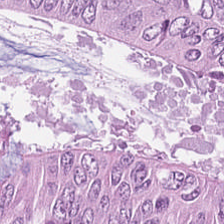H&E; 20× equivalent magnification. Q: Classify this patch.
A: This is colorectal adenocarcinoma epithelium.
